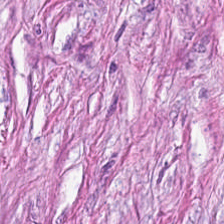Q: What type of tissue is this?
A: This is desmoplastic stroma.
